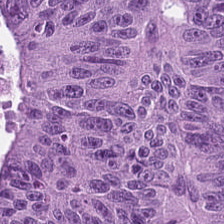Hematoxylin and eosin — Tissue = tumor epithelium.
